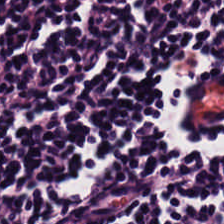H&E.
Q: What is the predominant tissue type?
A: It is lymphocytic infiltrate.
